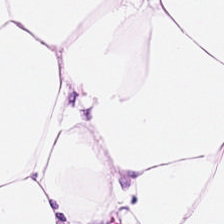Stain: H&E.
Acquisition: whole-slide-image patch.
Tissue class: adipose.
